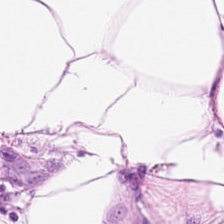H&E-stained tissue section.
The predominant tissue is adipose.
